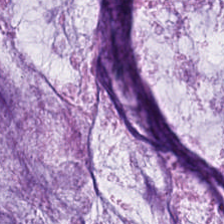224×224 px patch · hematoxylin-and-eosin stained section.
The tissue is mucus.
